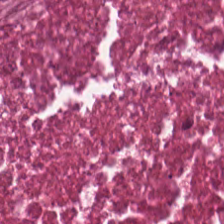Brightfield; FFPE; H&E stain — Predominant tissue = cellular debris.
